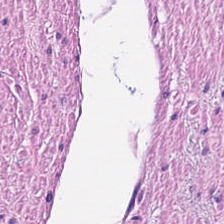Q: What is the predominant tissue type?
A: Smooth-muscle tissue.
